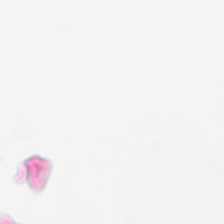Formalin-fixed paraffin-embedded section · 224×224 pixel tile · H&E-stained tissue section.
{"content": "background"}
